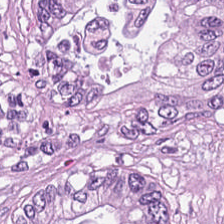Stain: H&E.
Tile size: 224×224 px tile.
Tissue: malignant epithelium.
